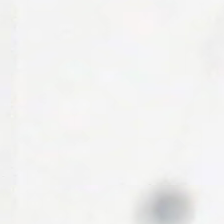Finding → background.
